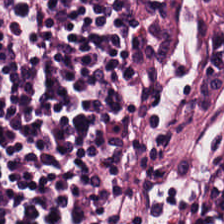The tissue here is lymphocytic infiltrate.
